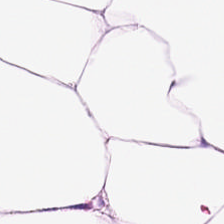H&E stain; 0.5 µm per pixel. Classification — adipose tissue.
